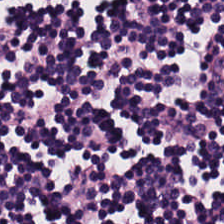H&E stain.
Q: What does this patch show?
A: Lymphocytic infiltrate.
